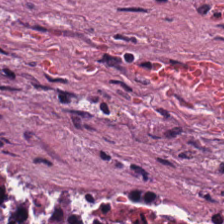0.5 µm/px. H&E-stained tissue section.
{"tissue_type": "cancer-associated stroma"}
